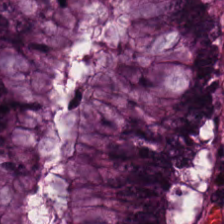Hematoxylin and eosin. Classification — non-neoplastic colon mucosa.
